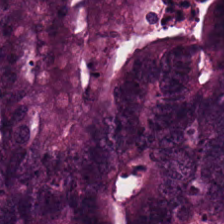Stain: H&E stain.
Preparation: formalin-fixed paraffin-embedded section.
Tissue type: adenocarcinoma.
